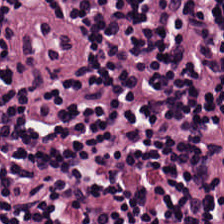0.5 microns per pixel · H&E-stained tissue section. Predominantly lymphoid infiltrate.
